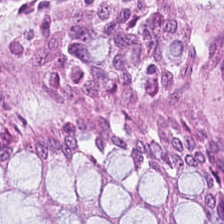Hematoxylin-and-eosin stained section; FFPE.
Histology → normal colonic mucosa.
